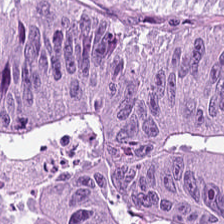Stain: hematoxylin and eosin.
Classification: colorectal adenocarcinoma epithelium.
